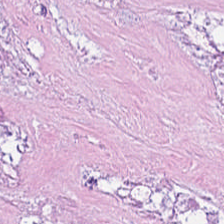The tissue type is necrotic debris.
